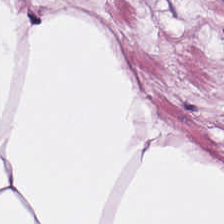20× equivalent magnification · hematoxylin-and-eosin stained section — Predominantly fat tissue.
